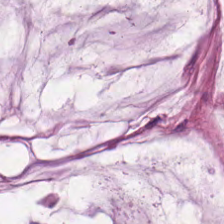FFPE · H&E-stained tissue section · 0.5 µm/px — Tissue type — mucus.
